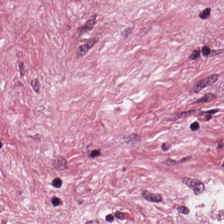Desmoplastic stroma.
